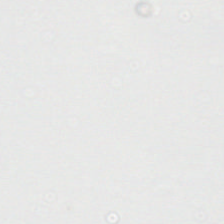Empty background.
